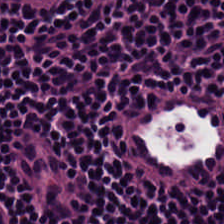H&E stain. 20× equivalent magnification.
Q: What does this patch show?
A: It is lymphoid infiltrate.
